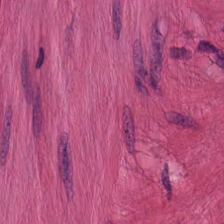H&E-stained tissue section; 224×224 px tile — Predominant tissue — smooth-muscle tissue.
